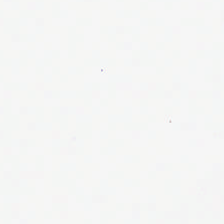Finding — background.
